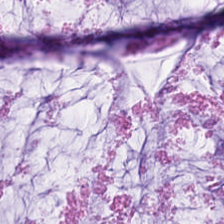0.5 µm/px; H&E stain — Q: What is the predominant tissue type?
A: The field shows mucus.
